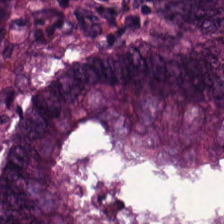Stain: hematoxylin and eosin.
Preparation: FFPE tissue section.
Tissue: tumor epithelium.
